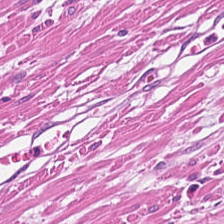Predominantly smooth-muscle tissue.
